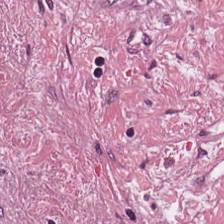Stain: hematoxylin-and-eosin stained section.
Resolution: 0.5 µm per pixel.
Tile size: 224×224 px patch.
Predominant tissue: desmoplastic stroma.
